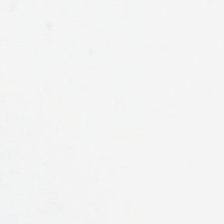Stain: H&E-stained tissue section.
Tile size: 224×224 px tile.
Resolution: 0.5 µm/px.
Content: no tissue.
